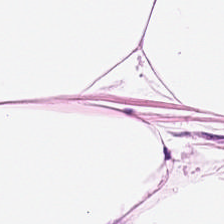H&E-stained tissue section. Impression — adipocytes.
